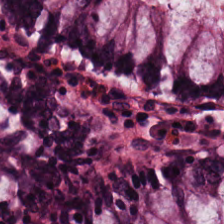Hematoxylin and eosin; 224×224 pixel tile — Showing normal colonic mucosa.
